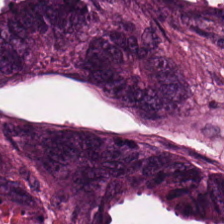224×224 px tile. H&E-stained tissue section. Predominant tissue: tumor epithelium.
